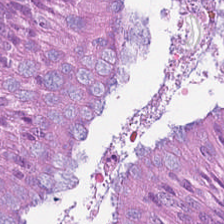H&E-stained tissue section — This patch shows tumor epithelium.
